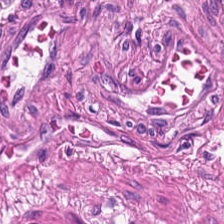Hematoxylin-and-eosin stained section — Tissue class = muscularis.
